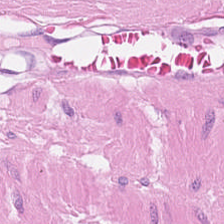H&E-stained tissue section. Q: What type of tissue is this?
A: Smooth muscle.
